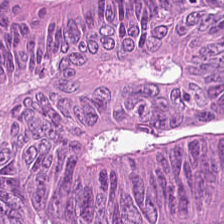Tissue type: colorectal adenocarcinoma epithelium.
